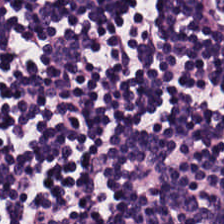H&E stain — This field is lymphocytic infiltrate.
